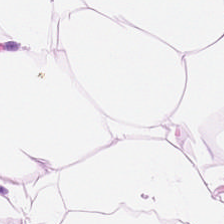H&E stain · 0.5 µm/px · 224×224 px tile.
Predominant tissue: adipocytes.
